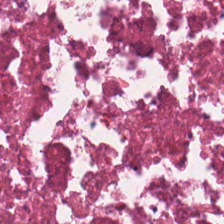Q: What is shown here?
A: The field shows cellular debris.
